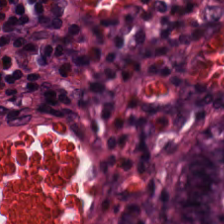H&E patch showing normal colonic mucosa.
